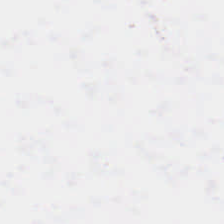This patch shows empty background.
